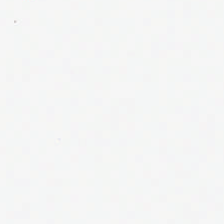Hematoxylin and eosin.
Q: What is shown here?
A: The field shows empty background.
